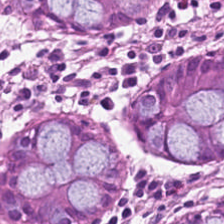H&E-stained tissue section · formalin-fixed paraffin-embedded section. Impression — normal colon mucosa.
